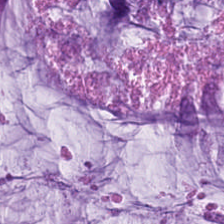FFPE. H&E. 224×224 pixel tile. Mucin.
